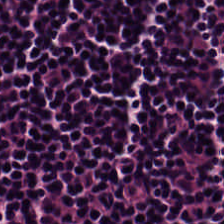Hematoxylin-and-eosin stained section. Impression → lymphoid infiltrate.
